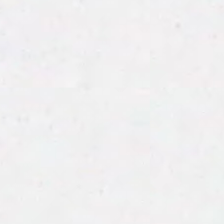Hematoxylin and eosin.
This patch shows empty background.
